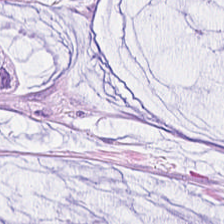Stain: H&E stain.
Acquisition: brightfield.
Predominant tissue: mucin.
